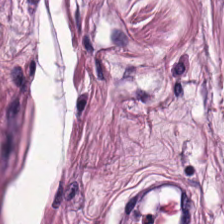Hematoxylin and eosin. Q: Classify this patch.
A: It is muscularis.
